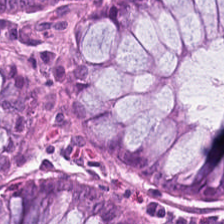Q: Identify the tissue.
A: This is non-neoplastic colon mucosa.
